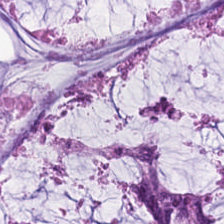Finding — extracellular mucin.
